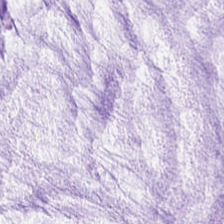H&E.
Q: What tissue type is shown here?
A: This is mucus.
